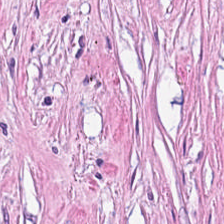Q: What tissue type is shown here?
A: This is cancer-associated stroma.
